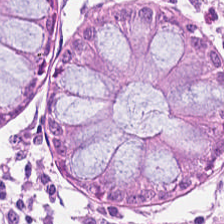H&E stain; FFPE tissue section — Predominantly normal colonic mucosa.
